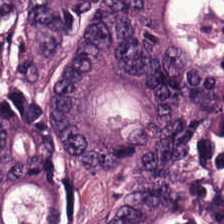Stain: hematoxylin and eosin.
Tissue class: malignant epithelium.
